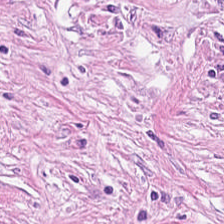H&E-stained tissue section. Finding — cancer-associated stroma.
